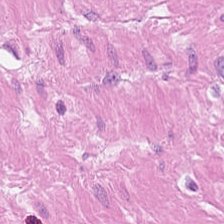H&E-stained tissue section; 0.5 µm per pixel. Muscularis.
